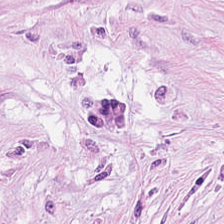Formalin-fixed paraffin-embedded section; hematoxylin and eosin. Tissue: cancer-associated stroma.
